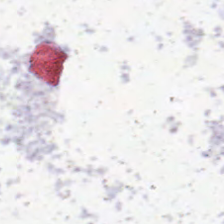Classification = no tissue.
